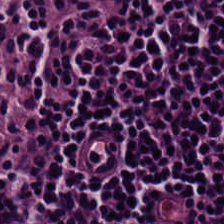Hematoxylin and eosin — The predominant tissue is lymphocyte aggregate.
